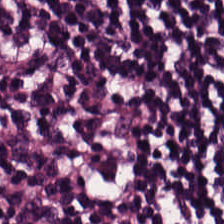H&E-stained tissue section — The tissue type is lymphocytes.
